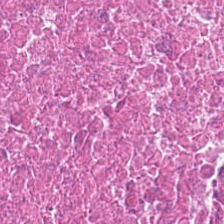Brightfield · FFPE · hematoxylin and eosin. Predominant tissue — cellular debris.
